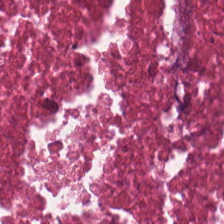This field is necrotic debris.
